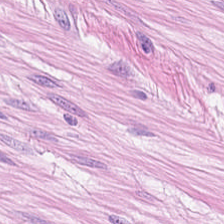H&E.
Smooth muscle.
